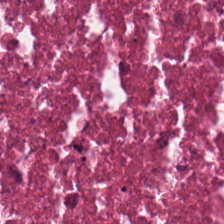Hematoxylin-and-eosin stained section · whole-slide-image patch · formalin-fixed paraffin-embedded section.
Impression → necrotic debris.
